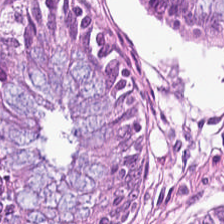Hematoxylin-and-eosin stained section — The tissue class is normal colon mucosa.
